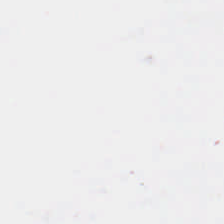This patch shows no tissue.
